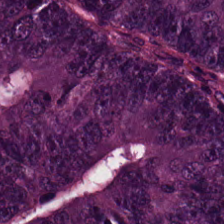FFPE tissue section · 20× equivalent magnification · H&E-stained tissue section. Colorectal adenocarcinoma.
